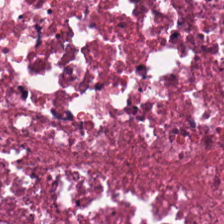0.5 µm/px · H&E stain. The predominant tissue is debris.
